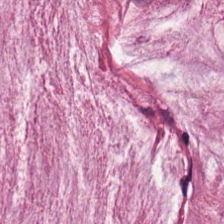This patch shows mucus.
